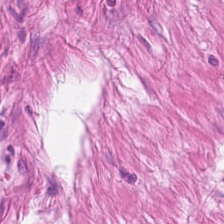224×224 pixel tile. 0.5 microns per pixel. Hematoxylin and eosin.
Q: What is the predominant tissue type?
A: It is muscularis.
